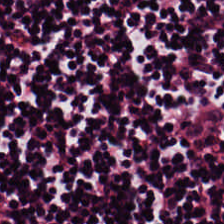224×224 pixel tile; brightfield; H&E stain.
Q: What is shown here?
A: It is lymphocytes.
